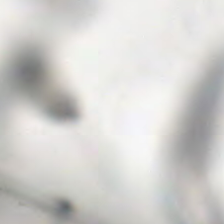Classification = empty background.
